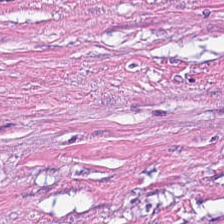Stain: H&E.
Acquisition: brightfield.
Tissue: tumor-associated stroma.
